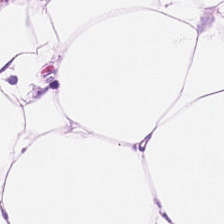Tissue: adipocytes.
